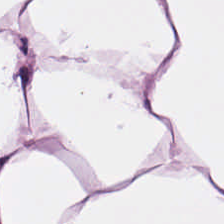H&E. Histology → adipose tissue.
